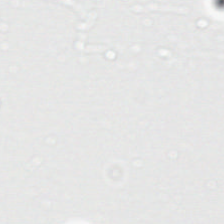Q: Classify this patch.
A: This is background.
